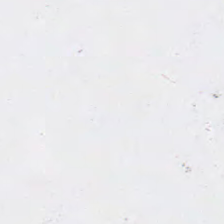H&E stain; 20× equivalent magnification; FFPE.
Impression → background (no tissue).
